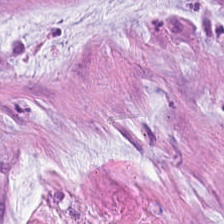Hematoxylin-and-eosin section: mucin.
